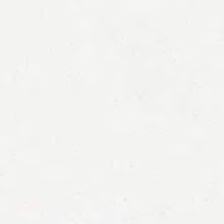Hematoxylin-and-eosin stained section. This field is background (no tissue).
